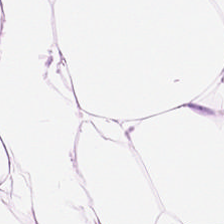H&E-stained tissue section — The predominant tissue is fat tissue.
